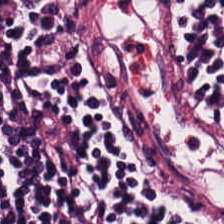H&E-stained tissue section — Q: What is the predominant tissue type?
A: It is lymphocytic infiltrate.
